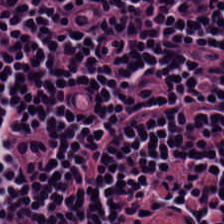H&E-stained tissue section — This field is lymphocyte aggregate.
